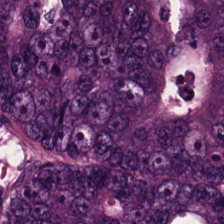FFPE tissue section · H&E.
The predominant tissue is adenocarcinoma.
